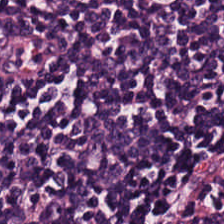Finding → lymphocyte aggregate.
